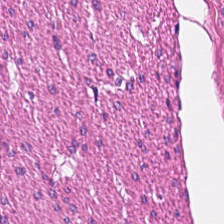FFPE tissue section. H&E-stained tissue section. 0.5 µm/px. Q: What is shown in this field?
A: This is smooth-muscle tissue.
